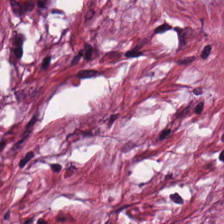0.5 microns per pixel. H&E.
{"tissue_type": "tumor stroma"}
